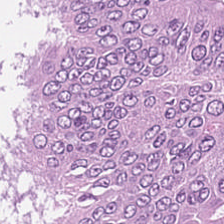H&E; 20× equivalent magnification; brightfield — Q: Identify the tissue.
A: Colorectal adenocarcinoma.
